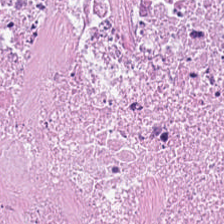H&E; 0.5 microns per pixel.
Tissue = debris.
